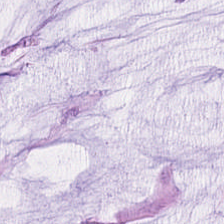Hematoxylin-and-eosin stained section. Impression → mucin.
